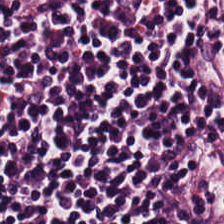Stain: H&E stain.
Tissue class: lymphocyte aggregate.
